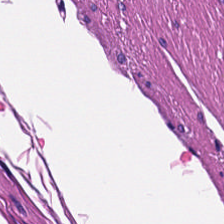Hematoxylin-and-eosin section: smooth-muscle tissue.
